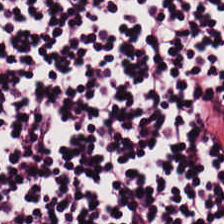0.5 µm per pixel; FFPE tissue section; H&E stain. The predominant tissue is lymphoid infiltrate.
